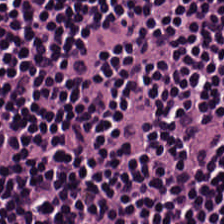FFPE tissue section; hematoxylin and eosin. Q: Identify the tissue.
A: This is lymphocytes.
